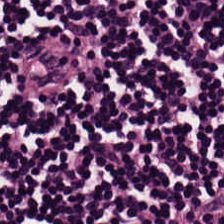Classification: lymphoid infiltrate.
